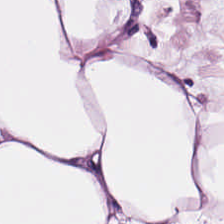H&E stain.
Tissue type = adipose tissue.
